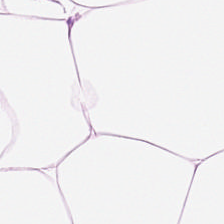Stain: hematoxylin-and-eosin stained section.
Tissue class: adipose tissue.
